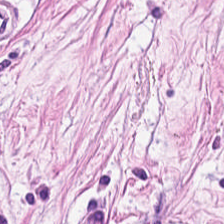Predominant tissue — desmoplastic stroma.
